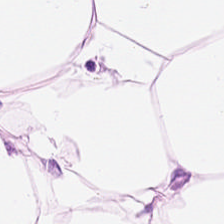224×224 px patch; H&E stain; brightfield microscopy.
The classification is adipose.
